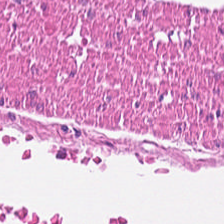20× equivalent magnification · brightfield · hematoxylin-and-eosin stained section — Smooth muscle.
